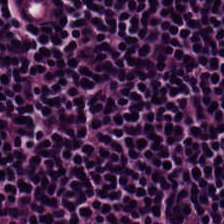Hematoxylin-and-eosin stained section. Predominant tissue = lymphocytic infiltrate.
